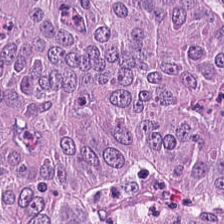H&E. Histology → adenocarcinoma.
